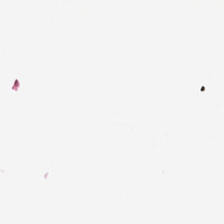Hematoxylin and eosin; 20× equivalent magnification. No tissue.
